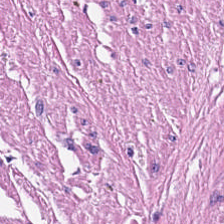{"tissue_type": "smooth muscle"}
